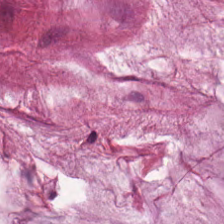Predominantly mucus.
